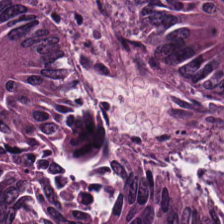H&E-stained tissue section — Q: What tissue is shown?
A: The field shows colorectal adenocarcinoma epithelium.
